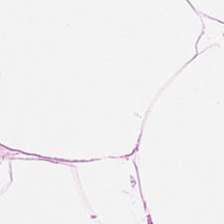20× equivalent magnification · 224×224 px tile · H&E-stained tissue section.
Showing adipose.
